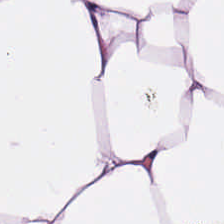H&E-stained tissue section.
{"tissue_type": "adipose"}
